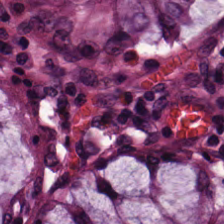H&E — Predominant tissue = normal colonic mucosa.
